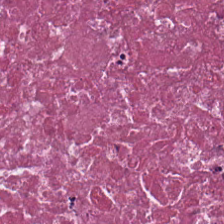Hematoxylin and eosin. This patch shows necrotic debris.
